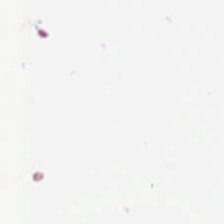0.5 µm per pixel. Formalin-fixed paraffin-embedded section. Hematoxylin and eosin. This field is background (no tissue).
